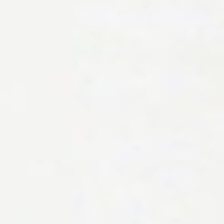0.5 µm/px; 224×224 px patch; hematoxylin and eosin.
Impression → background (no tissue).
